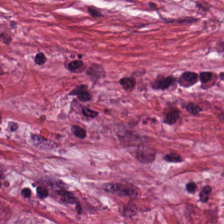H&E-stained section; the field shows tumor-associated stroma.
